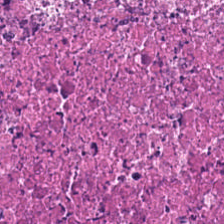20× equivalent magnification · hematoxylin and eosin · brightfield microscopy. Impression — debris.
